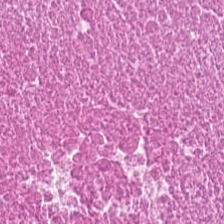Histology → debris.
